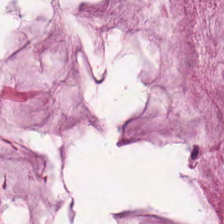Stain: H&E-stained tissue section.
Tissue: mucin.
